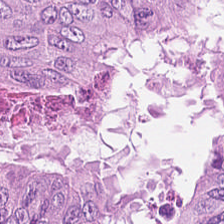224×224 px tile · hematoxylin-and-eosin stained section — The tissue here is tumor epithelium.
